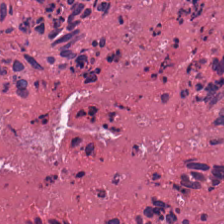0.5 µm/px. Hematoxylin and eosin. FFPE tissue section — Q: What is shown here?
A: Necrotic debris.
